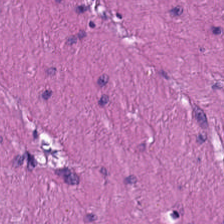Smooth muscle.
